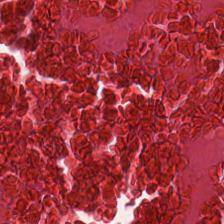Hematoxylin and eosin.
Predominantly necrotic debris.
